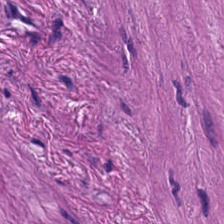Q: What tissue type is shown here?
A: The field shows smooth-muscle tissue.
